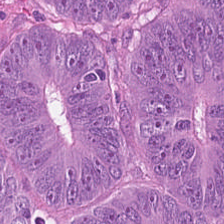Formalin-fixed paraffin-embedded section · 224×224 px tile · H&E stain. Tissue: colorectal adenocarcinoma.
